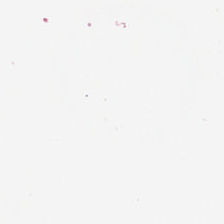H&E-stained tissue section. 0.5 µm per pixel. WSI patch. Field content — empty background.
